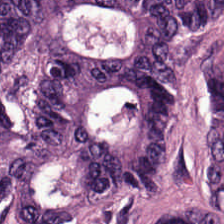224×224 px patch. FFPE. H&E-stained tissue section — Classification = adenocarcinoma.
